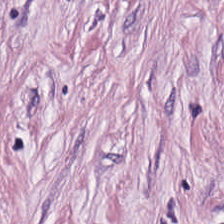H&E stain. Predominantly cancer-associated stroma.
